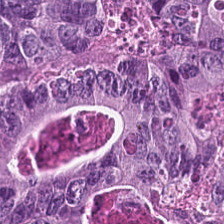FFPE tissue section; H&E stain — This field is tumor epithelium.
